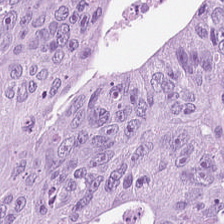Q: What is the predominant tissue type?
A: The field shows malignant epithelium.
